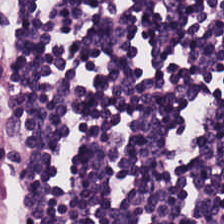H&E stain; brightfield — This patch shows lymphoid infiltrate.
